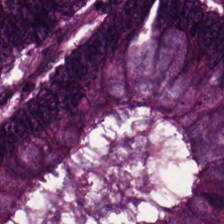Stain: H&E stain.
Tissue: colorectal adenocarcinoma.
